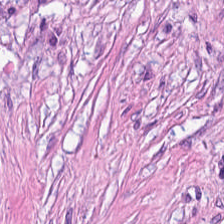Hematoxylin and eosin. The predominant tissue is desmoplastic stroma.
